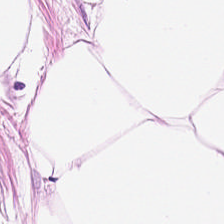Formalin-fixed paraffin-embedded section; 224×224 px patch; H&E stain. Histology → adipose tissue.
